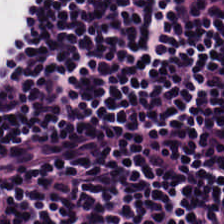H&E stain — Tissue: lymphocyte aggregate.
